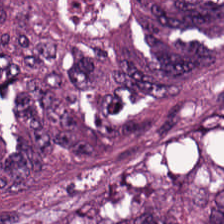H&E stain — This field is adenocarcinoma.
